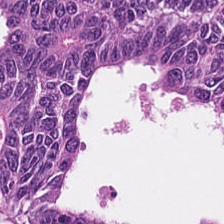H&E-stained tissue section. WSI patch. The tissue here is adenocarcinoma.
